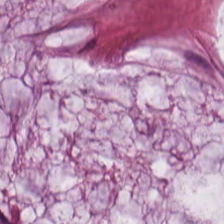H&E — Q: What tissue is shown?
A: It is extracellular mucin.
